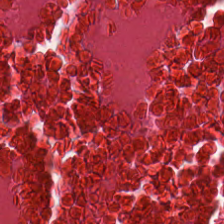H&E; 224×224 px patch; 20× equivalent magnification. This patch shows debris.
